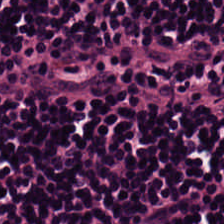H&E · FFPE tissue section.
Q: What type of tissue is this?
A: The field shows lymphocytes.
